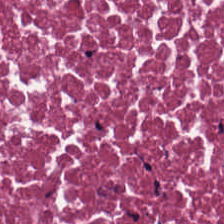H&E-stained tissue section.
This field is cellular debris.
